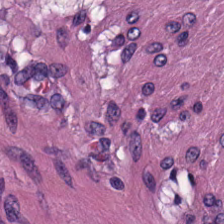Stain: H&E-stained tissue section.
Tissue class: smooth-muscle tissue.
